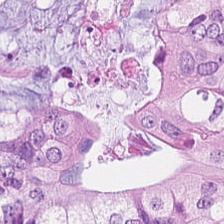Hematoxylin-and-eosin stained section. Predominant tissue = tumor epithelium.
